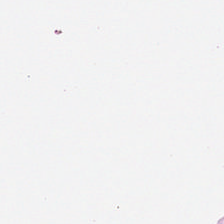The content is background.
